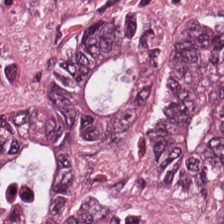FFPE tissue section · H&E.
The predominant tissue is colorectal adenocarcinoma.
